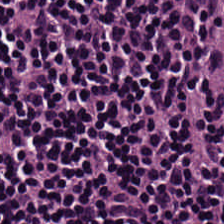0.5 microns per pixel · H&E-stained tissue section — Classification: lymphocyte aggregate.
